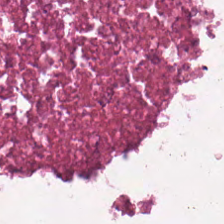Hematoxylin-and-eosin stained section. Tissue type = cellular debris.
